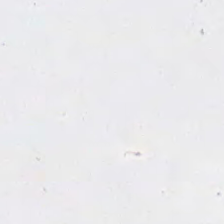FFPE · 224×224 px tile · H&E stain. This field is background (no tissue).
